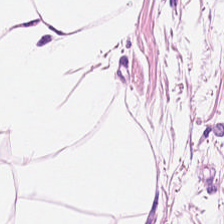Q: What is shown here?
A: It is adipocytes.
